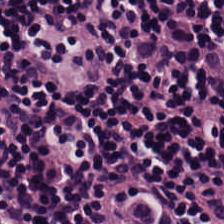Predominant tissue — lymphocytes.
